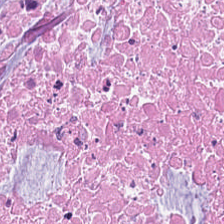Hematoxylin-and-eosin stained section — Tissue class — debris.
